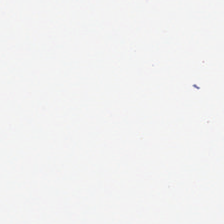Classification — background (no tissue).
